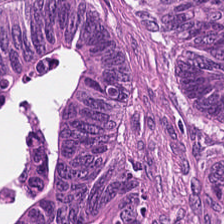The predominant tissue is colorectal adenocarcinoma epithelium.
